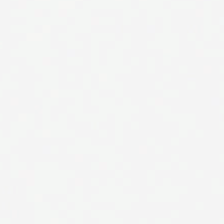224×224 px tile; H&E-stained tissue section — Impression — empty background.
